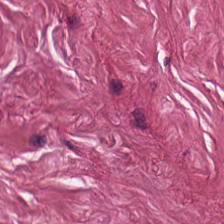Hematoxylin and eosin. This patch shows tumor stroma.
